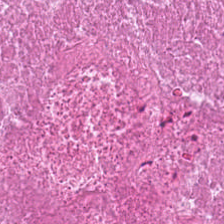Whole-slide-image patch · hematoxylin and eosin.
The predominant tissue is cellular debris.
